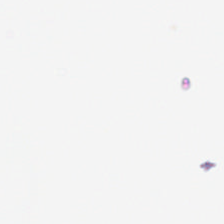H&E-stained tissue section · 224×224 pixel tile.
The classification is background.
